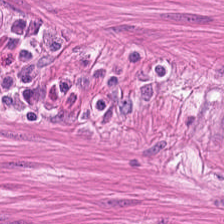Finding — smooth-muscle tissue.
